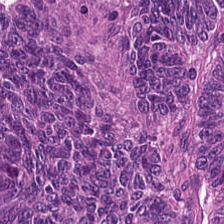Stain: H&E-stained tissue section.
Preparation: formalin-fixed paraffin-embedded section.
Acquisition: brightfield microscopy.
Tissue type: tumor epithelium.
